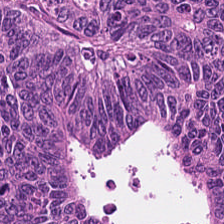Whole-slide-image patch · H&E-stained tissue section · FFPE.
Colorectal adenocarcinoma.
